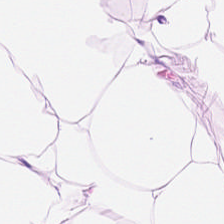Stain: H&E.
Tile size: 224×224 px tile.
Tissue class: adipose.
